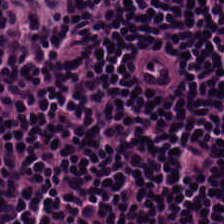0.5 µm per pixel. Hematoxylin-and-eosin stained section. 224×224 px patch — Finding — lymphoid infiltrate.
